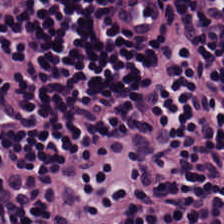H&E — Tissue = lymphoid infiltrate.
